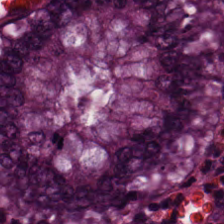Stain: hematoxylin and eosin.
Resolution: 0.5 µm/px.
Tile size: 224×224 px patch.
Tissue type: normal colonic mucosa.
